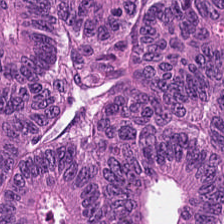Q: What is shown in this field?
A: The field shows malignant epithelium.
